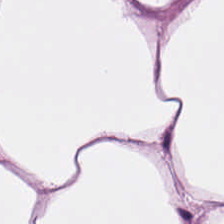Q: What does this patch show?
A: It is adipocytes.
